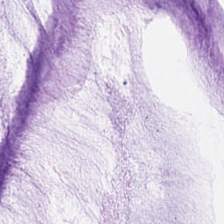Formalin-fixed paraffin-embedded section. Hematoxylin and eosin.
Showing mucus.
